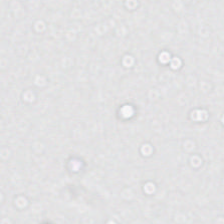WSI patch · hematoxylin-and-eosin stained section · 224×224 px tile. Background — no tissue in this field.
